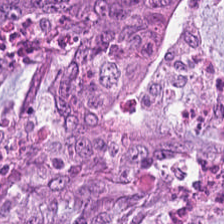H&E-stained tissue section.
Predominant tissue: colorectal adenocarcinoma epithelium.
